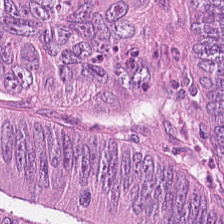The tissue here is malignant epithelium.
